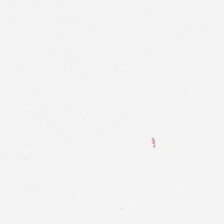H&E.
Q: What does this patch show?
A: This is empty background.
